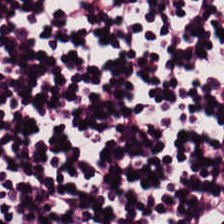H&E.
This field is lymphoid infiltrate.
